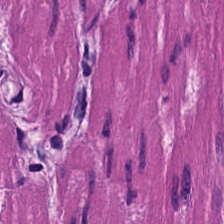Stain: H&E stain.
Tissue: muscularis.
